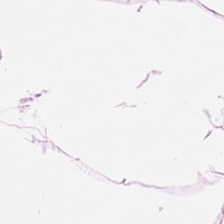Tissue = adipocytes.
